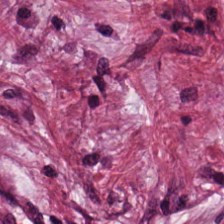WSI patch; hematoxylin and eosin; 224×224 px patch. This field is tumor-associated stroma.
